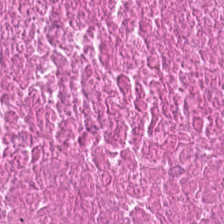Stain: H&E-stained tissue section.
Tissue type: debris.
